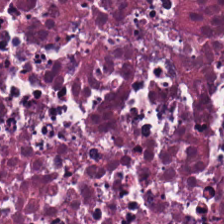H&E-stained tissue section showing necrotic debris.
